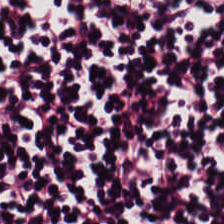Whole-slide-image patch · hematoxylin and eosin.
This field is lymphocytes.
